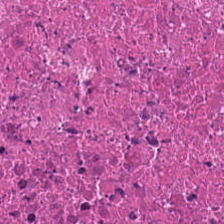H&E — This patch shows debris.
